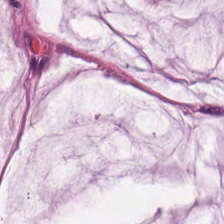H&E — mucus.
